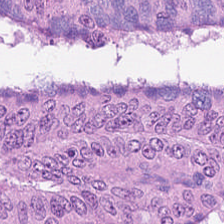H&E; FFPE — This patch shows colorectal adenocarcinoma.
